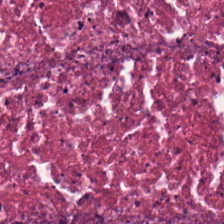H&E.
Finding — necrotic debris.
